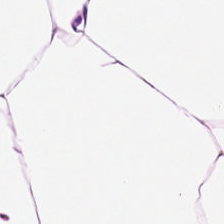Whole-slide-image patch. Formalin-fixed paraffin-embedded section. Hematoxylin and eosin.
Impression — adipose tissue.
